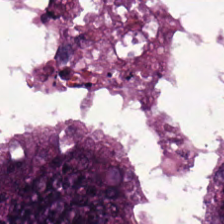FFPE tissue section. H&E stain. The tissue here is adenocarcinoma.
